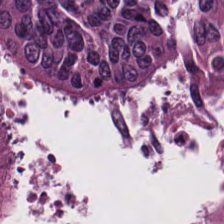H&E stain; brightfield; FFPE. Q: Classify this patch.
A: Malignant epithelium.
